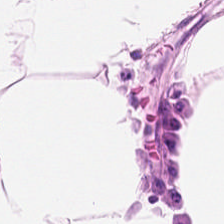This field is adipocytes.
